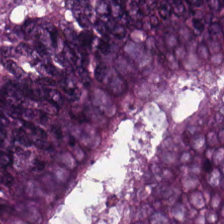Hematoxylin-and-eosin stained section. The tissue is colorectal adenocarcinoma epithelium.
